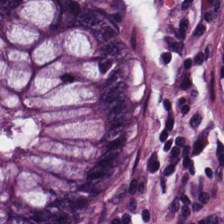H&E-stained tissue section. 224×224 px tile. Q: Identify the tissue.
A: This is non-neoplastic colon mucosa.
